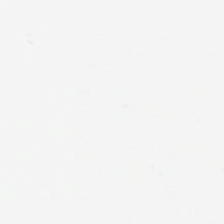Formalin-fixed paraffin-embedded section · H&E stain. Q: What does this patch show?
A: It is empty background.
